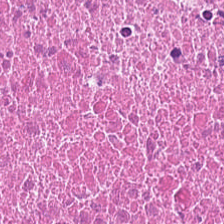224×224 px patch; H&E. Showing cellular debris.
